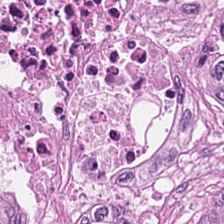H&E stain.
Impression → malignant epithelium.
